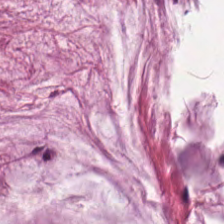0.5 µm per pixel. H&E-stained tissue section. 224×224 px tile — {"tissue_type": "extracellular mucin"}
